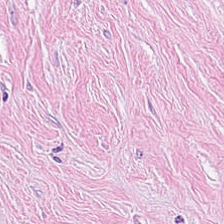Brightfield · H&E stain. Predominant tissue: tumor-associated stroma.
